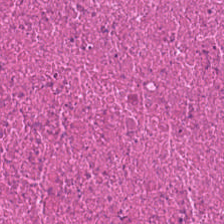H&E-stained tissue section.
This patch shows necrotic debris.
